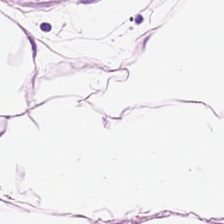H&E-stained tissue section — Q: What is the predominant tissue type?
A: It is adipose tissue.
